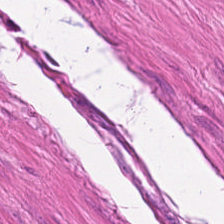0.5 µm/px; hematoxylin-and-eosin stained section; FFPE tissue section. The tissue class is smooth muscle.
